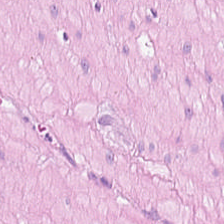H&E.
This field is muscularis.
